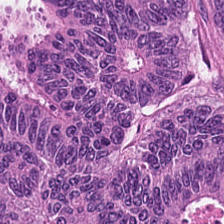Hematoxylin-and-eosin stained section.
This patch shows tumor epithelium.
